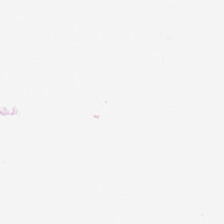WSI patch. FFPE. Hematoxylin and eosin — Field content = background (no tissue).
